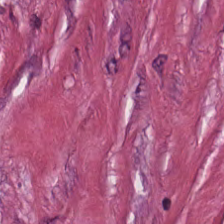Stain: H&E stain.
Preparation: FFPE.
Classification: cancer-associated stroma.
